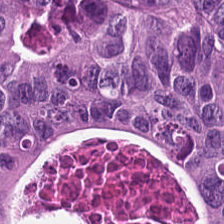Colorectal adenocarcinoma.
